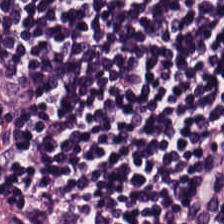H&E stain. Tissue type — lymphocytes.
